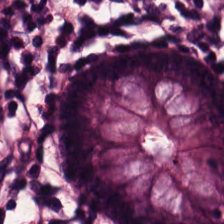Hematoxylin and eosin. This field is normal colon mucosa.
